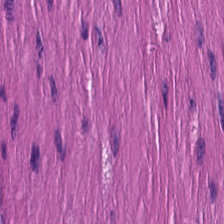Formalin-fixed paraffin-embedded section. 20× equivalent magnification. H&E-stained tissue section.
Tissue class = smooth muscle.
